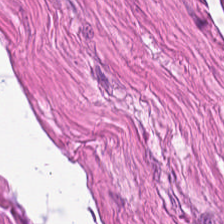Hematoxylin and eosin — Q: What is shown here?
A: It is smooth muscle.
